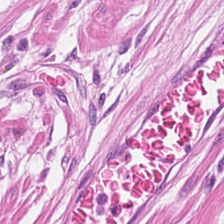Tissue type = smooth-muscle tissue.
